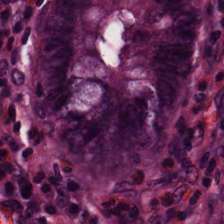H&E.
This field is normal colonic mucosa.
